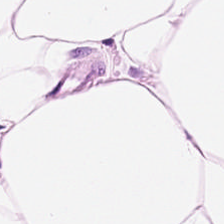H&E-stained tissue section. Histology → adipocytes.
